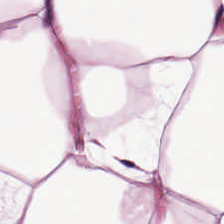Hematoxylin-and-eosin stained section. Q: What is the predominant tissue type?
A: This is fat tissue.
